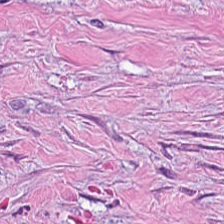H&E. FFPE tissue section. Q: What does this patch show?
A: Tumor-associated stroma.
